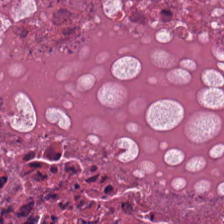Q: What is the predominant tissue type?
A: The field shows necrotic debris.
